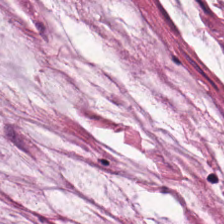Finding → extracellular mucin.
